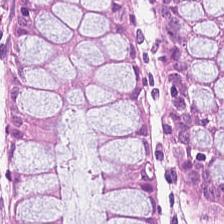Stain: H&E.
Predominant tissue: non-neoplastic colon mucosa.
